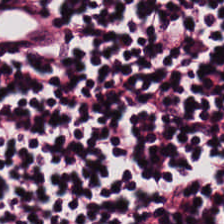0.5 µm/px; H&E stain. This field is lymphocyte aggregate.
